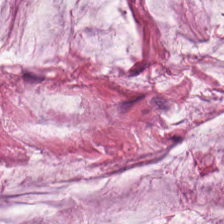Hematoxylin-and-eosin stained section. Tissue: extracellular mucin.
